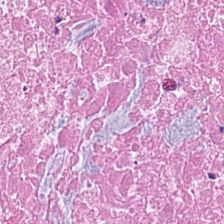Hematoxylin-and-eosin stained section. This patch shows cellular debris.
